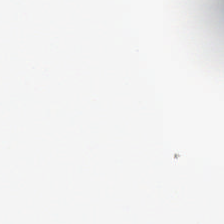The content is no tissue.
